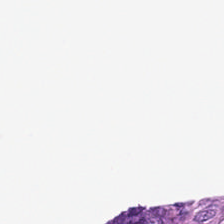Hematoxylin-and-eosin stained section.
Q: What is shown in this field?
A: The field shows background (no tissue).
